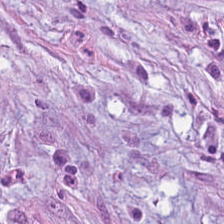224×224 px tile. H&E stain. Formalin-fixed paraffin-embedded section. Q: What is shown in this field?
A: This is tumor-associated stroma.
